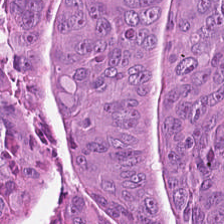Hematoxylin and eosin. Q: Classify this patch.
A: Tumor epithelium.
